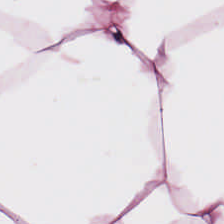This field is adipose tissue.
